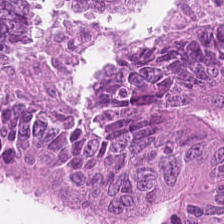H&E-stained tissue section · FFPE tissue section. Predominant tissue = malignant epithelium.
